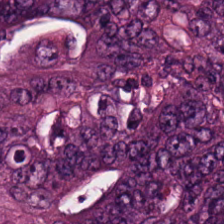H&E stain. Histology → colorectal adenocarcinoma.
